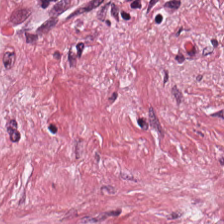Hematoxylin-and-eosin stained section. 224×224 px patch. Whole-slide-image patch — Classification: tumor-associated stroma.
